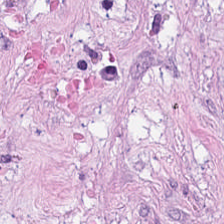H&E; FFPE.
The tissue here is desmoplastic stroma.
